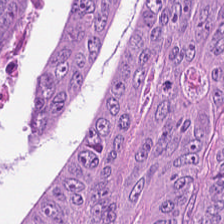This patch shows tumor epithelium.
